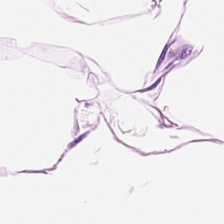Finding — adipose.
